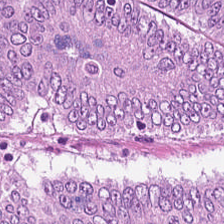Classification — colorectal adenocarcinoma.
